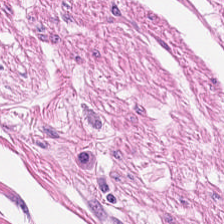Hematoxylin-and-eosin stained section. Muscularis.
